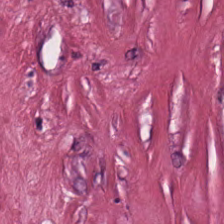Q: What does this patch show?
A: It is cancer-associated stroma.
